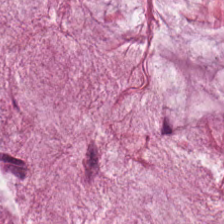The predominant tissue is extracellular mucin.
